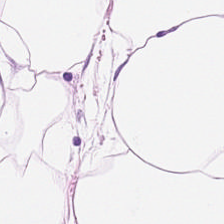The classification is adipose.
